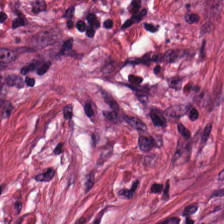Stain: H&E-stained tissue section.
Tissue class: desmoplastic stroma.
